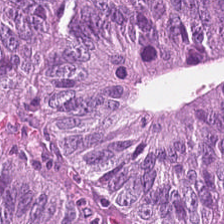H&E · 224×224 px tile.
{"tissue_type": "colorectal adenocarcinoma epithelium"}
